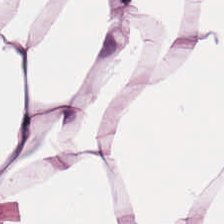H&E-stained tissue section — {"tissue_type": "fat tissue"}
